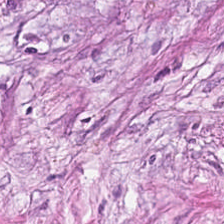Tissue type = tumor-associated stroma.
